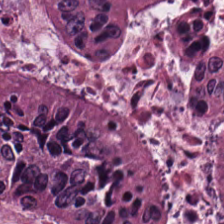Stain: H&E-stained tissue section.
Tissue: malignant epithelium.
